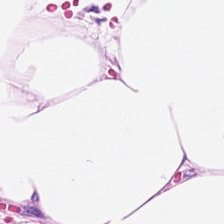H&E. {"tissue_type": "fat tissue"}
